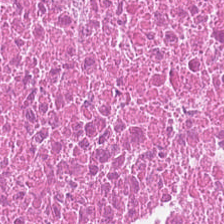H&E-stained tissue section. FFPE tissue section — This field is debris.
